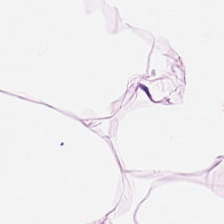H&E stain. Classification = adipocytes.
